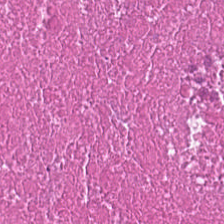H&E stain — This field is cellular debris.
